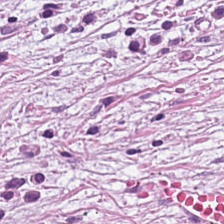H&E · 224×224 px tile · 0.5 µm per pixel.
Showing cancer-associated stroma.
